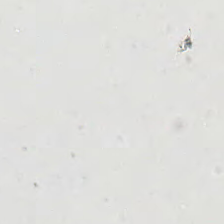FFPE · 224×224 px tile · H&E stain — Empty field — no tissue.
